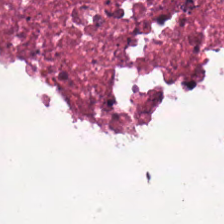Hematoxylin and eosin — Predominantly necrotic debris.
